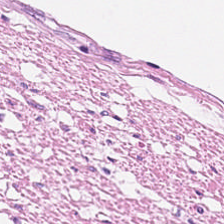This field is smooth-muscle tissue.
